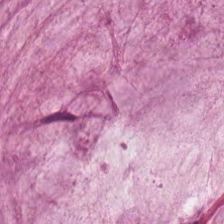H&E-stained tissue section — The predominant tissue is mucus.
